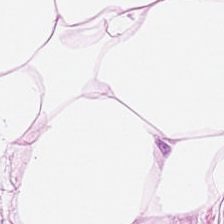The tissue type is adipose tissue.
